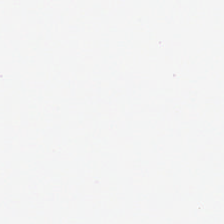H&E-stained tissue section — No tissue present; background only.
